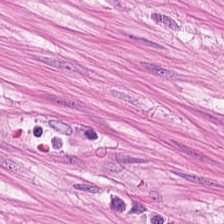224×224 px patch · H&E-stained tissue section · FFPE tissue section. Q: What does this patch show?
A: The field shows smooth muscle.
